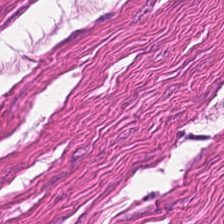Stain: H&E.
Tissue class: smooth muscle.
